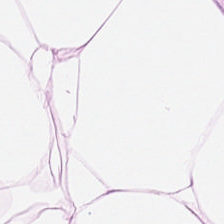The tissue type is adipose tissue.
